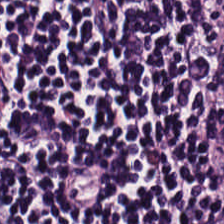Hematoxylin and eosin.
Tissue class: lymphoid infiltrate.
